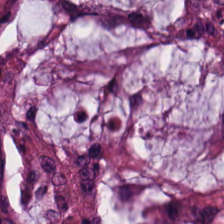Whole-slide-image patch; FFPE; H&E stain — Q: What is the predominant tissue type?
A: This is malignant epithelium.
